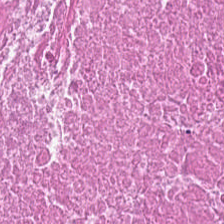Classification = necrotic debris.
